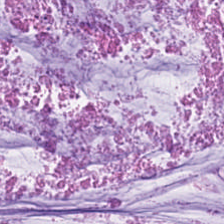H&E-stained tissue section. Q: What is shown in this field?
A: Mucin.
